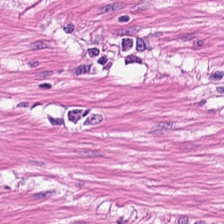H&E stain — This field is smooth-muscle tissue.
